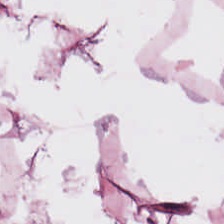H&E-stained tissue section.
This field is adipose.
